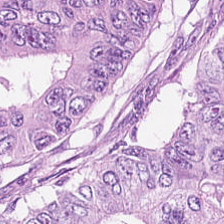Hematoxylin-and-eosin stained section.
Tissue class = adenocarcinoma.
